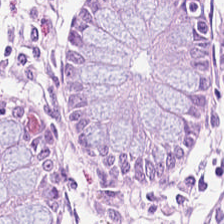224×224 pixel tile. Formalin-fixed paraffin-embedded section. H&E.
{"tissue_type": "normal colonic mucosa"}
